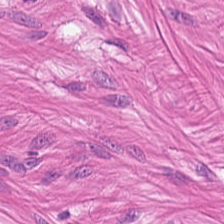Impression → smooth-muscle tissue.
